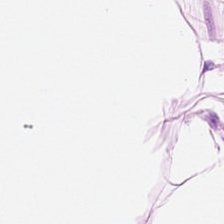H&E-stained tissue section — Showing adipose tissue.
